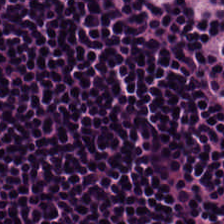Stain: hematoxylin and eosin.
Predominant tissue: lymphoid infiltrate.
